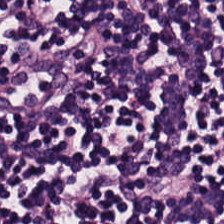Brightfield; hematoxylin-and-eosin stained section.
Histology — lymphocytic infiltrate.
